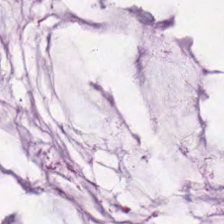0.5 µm per pixel; H&E-stained tissue section.
Showing extracellular mucin.
